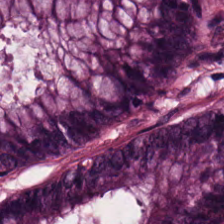Brightfield; hematoxylin and eosin. {"tissue_type": "normal colon mucosa"}
